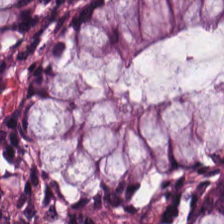Finding → normal colon mucosa.
